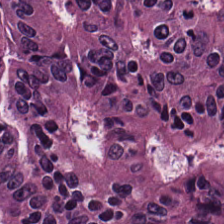Brightfield microscopy; hematoxylin-and-eosin stained section. Showing tumor epithelium.
